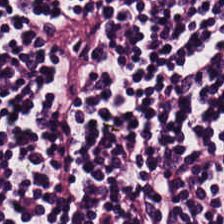H&E-stained tissue section — The tissue here is lymphocytes.
